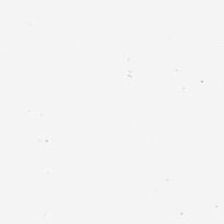Hematoxylin and eosin · FFPE tissue section.
The classification is no tissue.
